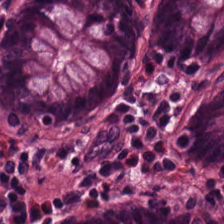Brightfield. Hematoxylin-and-eosin stained section.
Predominantly normal colonic mucosa.
